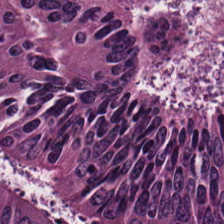Predominantly adenocarcinoma.
